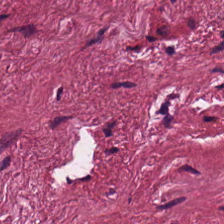H&E-stained tissue section — This field is tumor-associated stroma.
